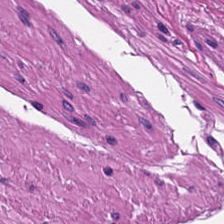Stain: H&E.
Acquisition: whole-slide-image patch.
Predominant tissue: smooth muscle.
